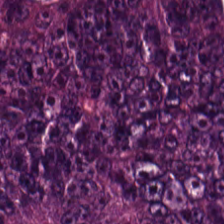H&E-stained tissue section.
The classification is colorectal adenocarcinoma epithelium.
